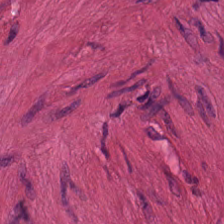20× equivalent magnification · hematoxylin and eosin. The predominant tissue is muscularis.
